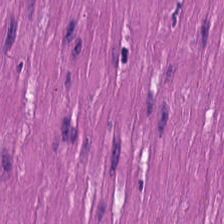0.5 µm per pixel. Whole-slide-image patch. H&E stain — Q: What is the predominant tissue type?
A: The field shows smooth muscle.
